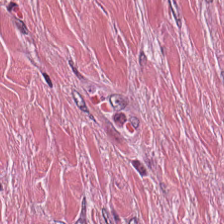Predominantly tumor stroma.
